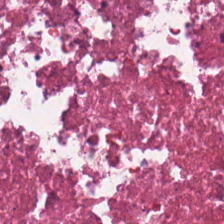Predominantly cellular debris.
